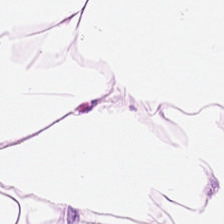Finding → adipocytes.
